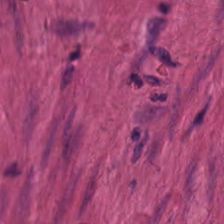FFPE · 224×224 px tile · H&E. The predominant tissue is smooth muscle.
